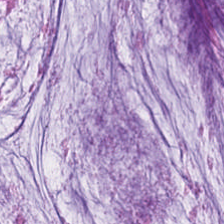{"tissue_type": "mucin"}
